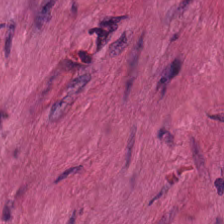Hematoxylin and eosin.
Showing smooth-muscle tissue.
